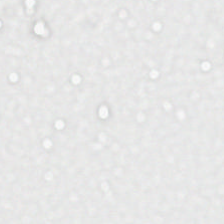Background — no tissue in this field.
